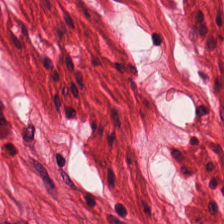Hematoxylin and eosin.
{"tissue_type": "smooth-muscle tissue"}
